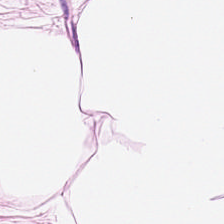Hematoxylin and eosin.
Q: What is shown here?
A: The field shows adipose.
